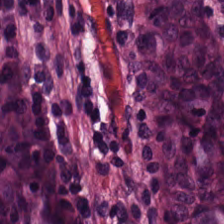Q: What does this patch show?
A: Benign colonic mucosa.
